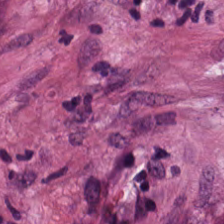Stain: H&E stain.
Tissue class: tumor stroma.
